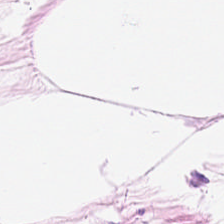H&E-stained section; the field shows fat tissue.
